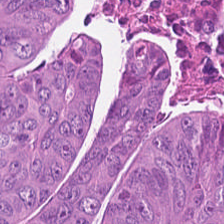The tissue here is adenocarcinoma.
